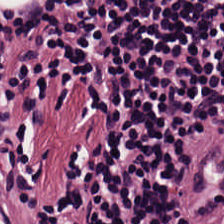Q: What does this patch show?
A: This is lymphoid infiltrate.
